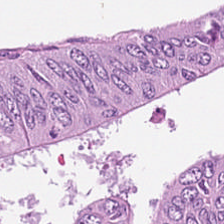Hematoxylin and eosin. Showing tumor epithelium.
